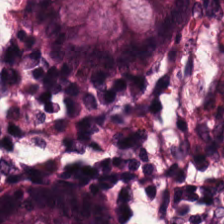Hematoxylin and eosin — Non-neoplastic colon mucosa.
